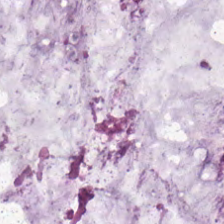H&E — Showing mucus.
